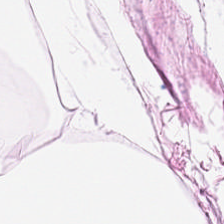H&E-stained tissue section — Q: What type of tissue is this?
A: This is adipocytes.
